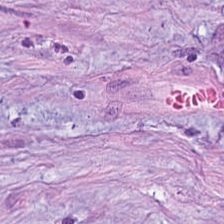Tumor stroma.
